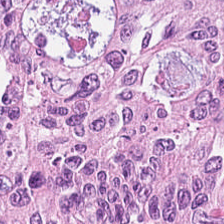224×224 px tile; 20× equivalent magnification; H&E. Histology — colorectal adenocarcinoma epithelium.
